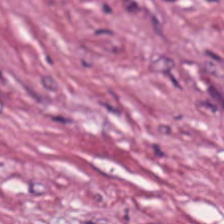H&E-stained tissue section — The tissue here is cancer-associated stroma.
